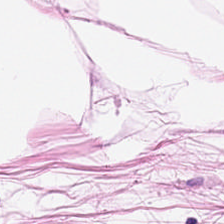Stain: hematoxylin and eosin.
Classification: adipose tissue.
